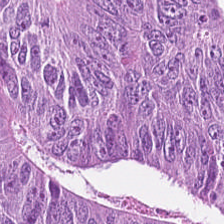0.5 microns per pixel · hematoxylin and eosin.
The tissue class is colorectal adenocarcinoma.
